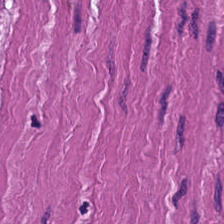H&E. Smooth-muscle tissue.
